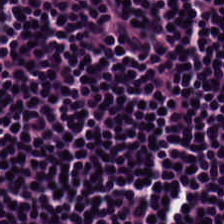H&E-stained tissue section — Q: What type of tissue is this?
A: The field shows lymphocytic infiltrate.
